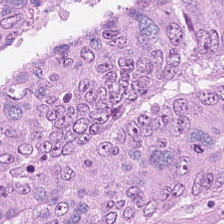Stain: H&E.
Acquisition: brightfield.
Tissue type: tumor epithelium.
